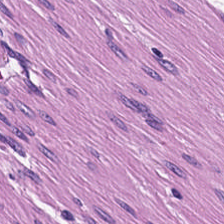H&E · FFPE tissue section. Tissue type = muscularis.
